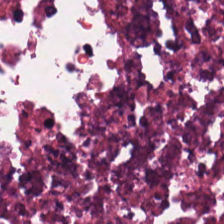Hematoxylin-and-eosin stained section. Q: Identify the tissue.
A: Necrotic debris.
